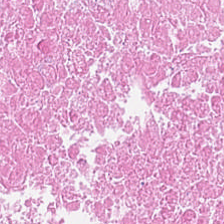Predominant tissue: cellular debris.
